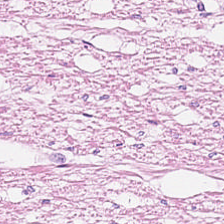Hematoxylin and eosin.
Q: What type of tissue is this?
A: It is smooth muscle.
